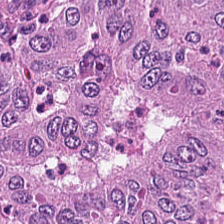Hematoxylin-and-eosin stained section · FFPE.
Finding — adenocarcinoma.
